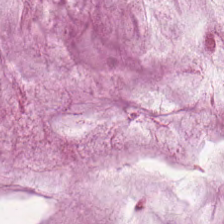H&E stain; FFPE tissue section; 0.5 µm per pixel — Tissue class = mucus.
